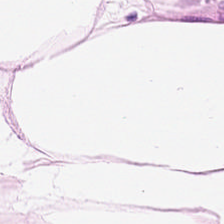Formalin-fixed paraffin-embedded section · H&E-stained tissue section. Adipose tissue.
